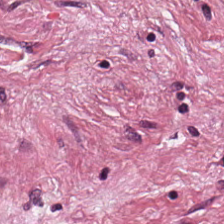Q: Classify this patch.
A: Cancer-associated stroma.
